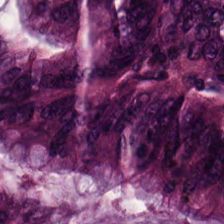224×224 px tile. H&E-stained tissue section. Q: What tissue type is shown here?
A: The field shows colorectal adenocarcinoma.
